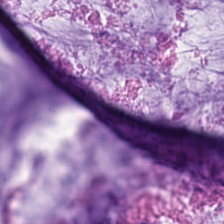20× equivalent magnification. Hematoxylin and eosin — Tissue class = mucus.
